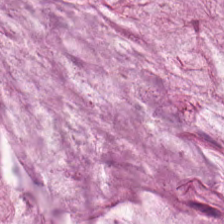0.5 µm/px · H&E stain · FFPE tissue section — Tissue type = mucin.
